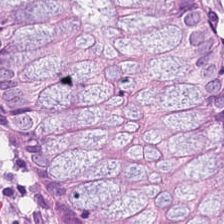The tissue here is benign colonic mucosa.
